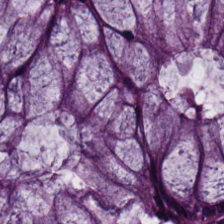H&E; 0.5 microns per pixel; whole-slide-image patch. The predominant tissue is normal colonic mucosa.
